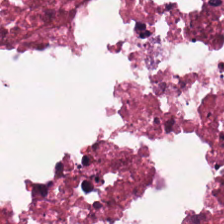Stain: H&E-stained tissue section.
Tissue: cellular debris.
